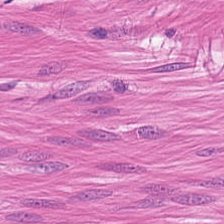Hematoxylin and eosin — Finding — smooth-muscle tissue.
